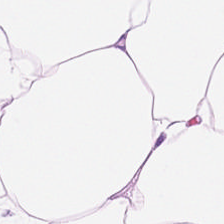H&E-stained tissue section · whole-slide-image patch · FFPE.
Finding — adipocytes.
